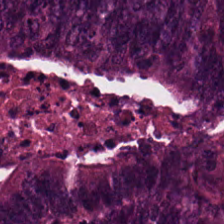Q: What is shown in this field?
A: It is adenocarcinoma.
